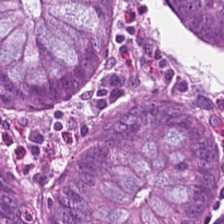H&E.
Predominantly non-neoplastic colon mucosa.
